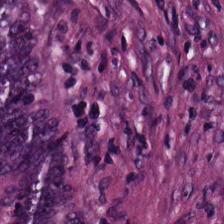H&E-stained tissue section; 0.5 µm/px.
Histology → adenocarcinoma.
